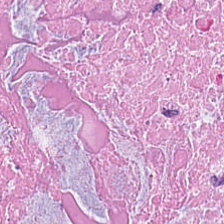Q: What type of tissue is this?
A: Necrotic debris.
